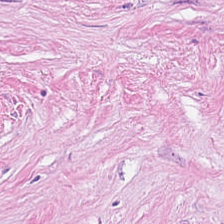Q: What is shown here?
A: This is cancer-associated stroma.
